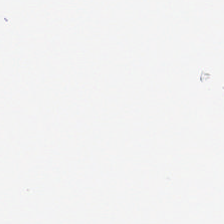Whole-slide-image patch; 224×224 px patch; H&E-stained tissue section.
Impression → background (no tissue).
